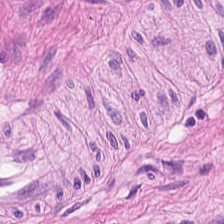Hematoxylin and eosin. Muscularis.
